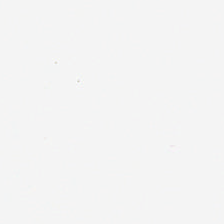20× equivalent magnification; hematoxylin and eosin.
The classification is background.
